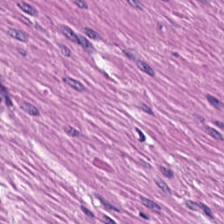Hematoxylin-and-eosin stained section — The tissue here is muscularis.
